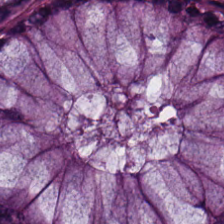Formalin-fixed paraffin-embedded section. 0.5 µm per pixel. H&E-stained tissue section — Q: What does this patch show?
A: The field shows non-neoplastic colon mucosa.
